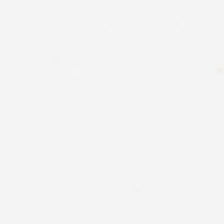{"content": "empty background"}
